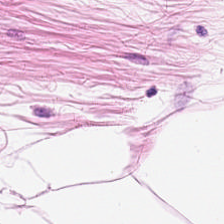H&E-stained tissue section; 0.5 microns per pixel — Predominant tissue: adipose tissue.
